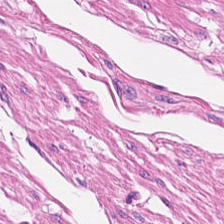Stain: H&E.
Tissue: smooth muscle.
